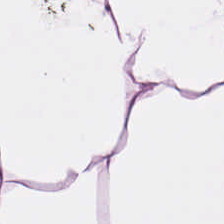Finding — fat tissue.
